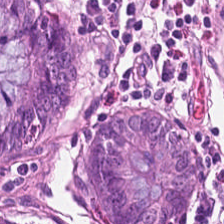H&E-stained tissue section — Classification — non-neoplastic colon mucosa.
